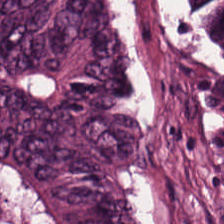WSI patch; hematoxylin-and-eosin stained section. Q: What is the predominant tissue type?
A: This is malignant epithelium.
